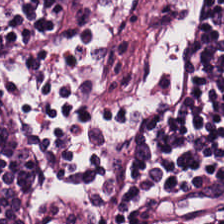H&E. Classification — lymphocytic infiltrate.
